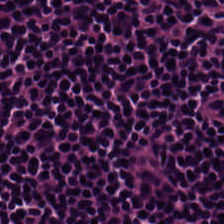Stain: hematoxylin and eosin.
Acquisition: WSI patch.
Classification: lymphoid infiltrate.
